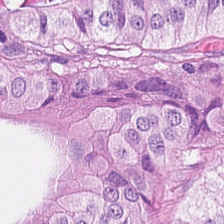Stain: hematoxylin-and-eosin stained section.
Tissue: colorectal adenocarcinoma.
